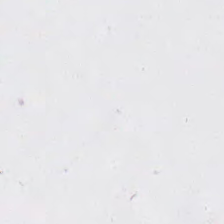The content is background (no tissue).
